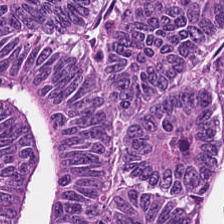H&E · 224×224 px patch. Histology — colorectal adenocarcinoma epithelium.
